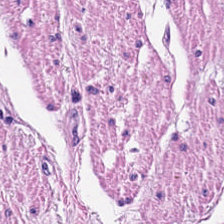Tissue class = smooth muscle.
